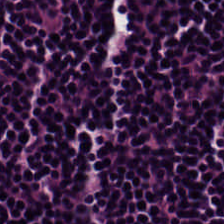H&E-stained tissue section. {"tissue_type": "lymphocytes"}
